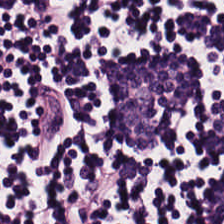Formalin-fixed paraffin-embedded section; H&E stain.
The predominant tissue is lymphoid infiltrate.
